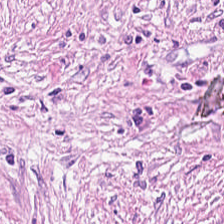H&E — desmoplastic stroma.
